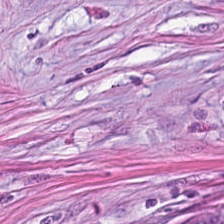H&E · brightfield · 0.5 microns per pixel. This field is cancer-associated stroma.
